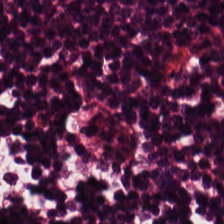Brightfield microscopy · 0.5 microns per pixel · H&E-stained tissue section. Finding → lymphoid infiltrate.
